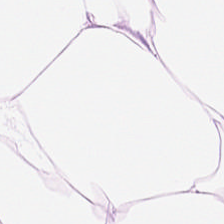H&E patch showing adipose tissue.
